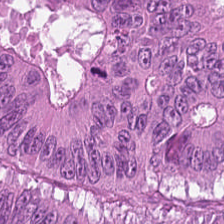Hematoxylin-and-eosin stained section.
Q: What is the predominant tissue type?
A: This is tumor epithelium.
